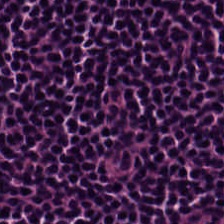WSI patch. H&E-stained tissue section. 224×224 pixel tile. Histology → lymphocytic infiltrate.
